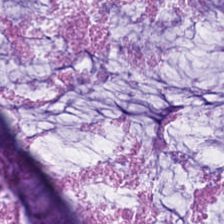Stain: H&E.
Predominant tissue: mucus.
